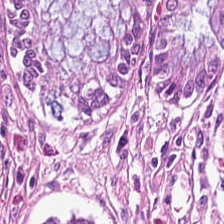Hematoxylin-and-eosin stained section — Histology — non-neoplastic colon mucosa.
